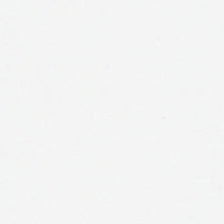H&E-stained tissue section — Field content = empty background.
